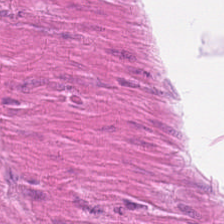H&E stain.
This field is muscularis.
